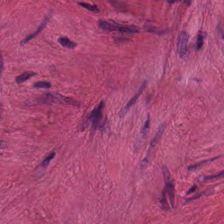This field is muscularis.
